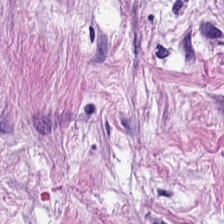Hematoxylin-and-eosin section: tumor stroma.
